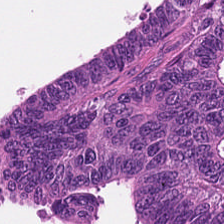Hematoxylin-and-eosin stained section — The tissue here is tumor epithelium.
